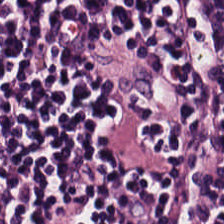Hematoxylin-and-eosin stained section. Finding — lymphoid infiltrate.
